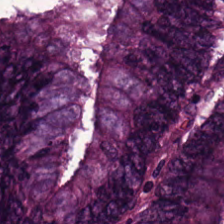Hematoxylin and eosin — Impression → colorectal adenocarcinoma.
